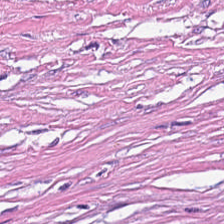H&E patch showing desmoplastic stroma.
